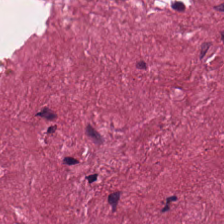Hematoxylin-and-eosin stained section · 224×224 pixel tile. Predominant tissue = desmoplastic stroma.
